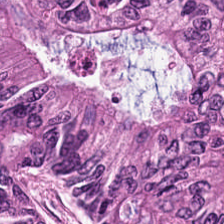{"tissue_type": "colorectal adenocarcinoma"}
